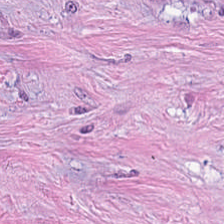H&E. The tissue class is tumor stroma.
